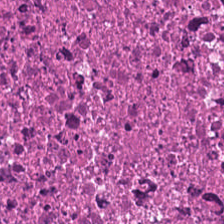224×224 px tile; H&E.
Q: What is shown here?
A: The field shows debris.
